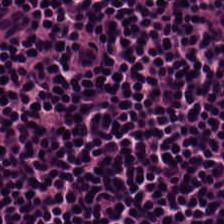{"tissue_type": "lymphocytes"}
